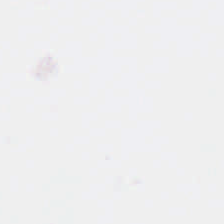This patch shows background (no tissue).
